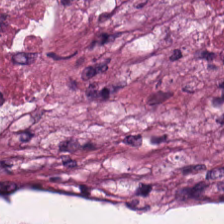Stain: hematoxylin-and-eosin stained section.
Classification: necrotic debris.
